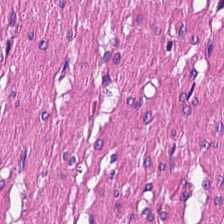H&E-stained tissue section. Q: What type of tissue is this?
A: The field shows smooth muscle.
